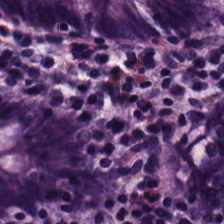224×224 px tile. H&E stain — Q: What is the predominant tissue type?
A: It is normal colonic mucosa.
